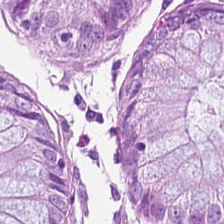Classification — benign colonic mucosa.
